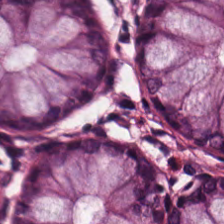Q: What tissue type is shown here?
A: This is normal colonic mucosa.
